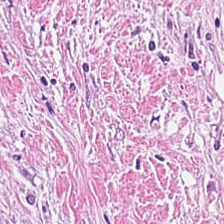Hematoxylin and eosin — Q: What tissue type is shown here?
A: It is tumor stroma.
